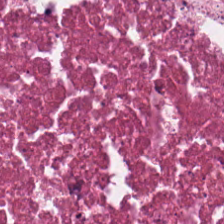Hematoxylin-and-eosin stained section; 224×224 pixel tile — Cellular debris.
